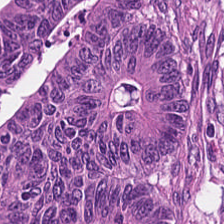H&E stain; WSI patch.
The tissue here is malignant epithelium.
